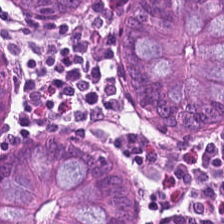H&E-stained tissue section. 20× equivalent magnification. Tissue — benign colonic mucosa.
